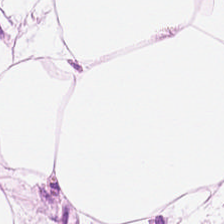Hematoxylin and eosin. Brightfield. Q: What is shown here?
A: This is fat tissue.
